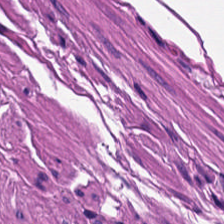Stain: H&E-stained tissue section.
Predominant tissue: smooth muscle.
